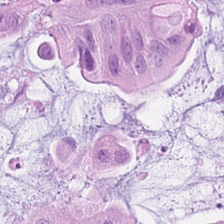The tissue type is extracellular mucin.
